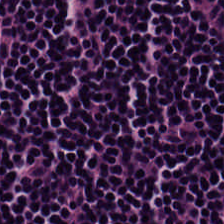H&E-stained tissue section showing lymphoid infiltrate.
